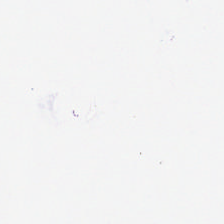Hematoxylin and eosin · whole-slide-image patch. This patch shows no tissue.
